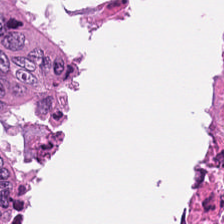H&E-stained tissue section — This field is necrotic debris.
